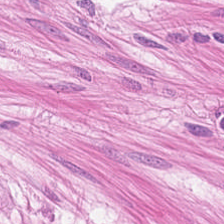H&E-stained section; the field shows smooth muscle.
